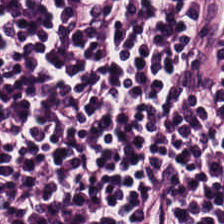Whole-slide-image patch. H&E-stained tissue section — Predominant tissue: lymphocytic infiltrate.
